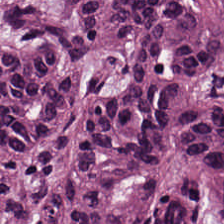Hematoxylin and eosin. Impression — colorectal adenocarcinoma.
